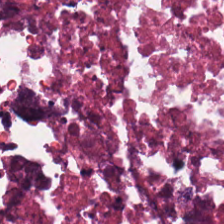H&E. Cellular debris.
